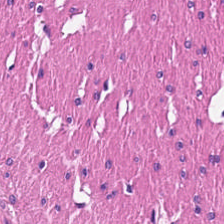Formalin-fixed paraffin-embedded section · hematoxylin-and-eosin stained section. Predominantly muscularis.
